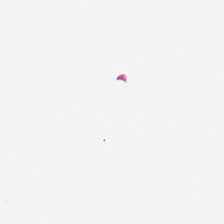224×224 pixel tile · hematoxylin-and-eosin stained section. The classification is background.
